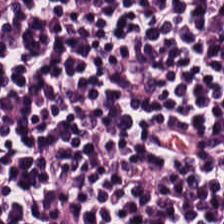H&E-stained tissue section. Tissue type = lymphoid infiltrate.
